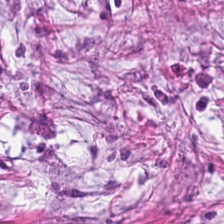H&E-stained tissue section; 0.5 µm/px.
Predominantly desmoplastic stroma.
